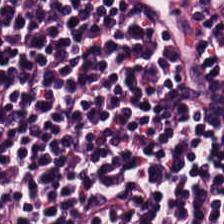Hematoxylin-and-eosin stained section — This field is lymphocytic infiltrate.
